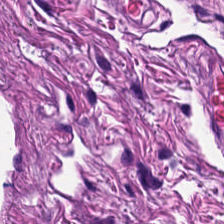Formalin-fixed paraffin-embedded section · hematoxylin and eosin.
The tissue here is muscularis.
